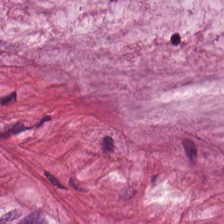H&E stain. The predominant tissue is extracellular mucin.
